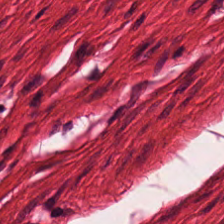Hematoxylin and eosin · FFPE.
Q: What tissue is shown?
A: It is smooth-muscle tissue.
